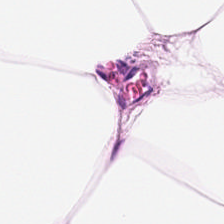Showing adipocytes.
